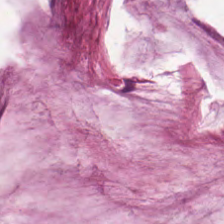Stain: hematoxylin and eosin.
Preparation: formalin-fixed paraffin-embedded section.
Resolution: 0.5 µm per pixel.
Tissue type: mucin.
